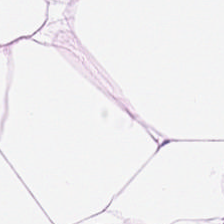0.5 microns per pixel. 224×224 px tile. H&E stain — {"tissue_type": "adipose tissue"}
